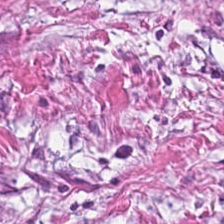224×224 pixel tile. H&E. FFPE tissue section.
Showing tumor-associated stroma.
